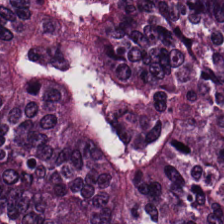FFPE tissue section · 20× equivalent magnification · H&E stain. This field is adenocarcinoma.
